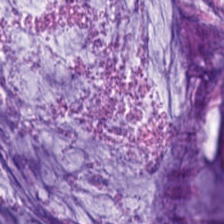H&E-stained tissue section.
Q: What is shown in this field?
A: This is mucin.
